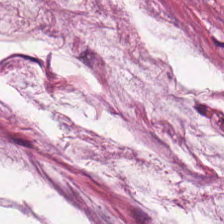Hematoxylin-and-eosin stained section — Mucus.
